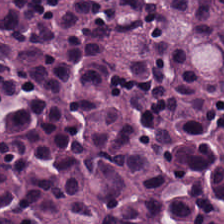Hematoxylin-and-eosin stained section.
Showing lymphocyte aggregate.
